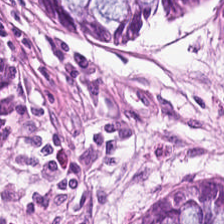Hematoxylin-and-eosin stained section — Impression — benign colonic mucosa.
